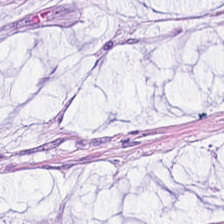Hematoxylin-and-eosin stained section.
This field is extracellular mucin.
